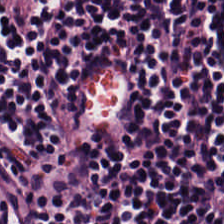Histology → lymphoid infiltrate.
